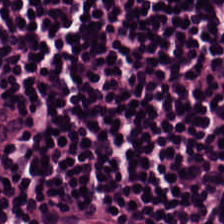{"tissue_type": "lymphocytic infiltrate"}
